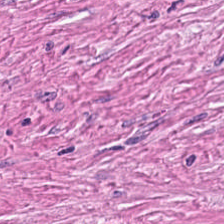Hematoxylin and eosin. The tissue here is tumor-associated stroma.
